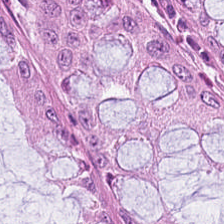Stain: H&E-stained tissue section.
Preparation: FFPE tissue section.
Classification: benign colonic mucosa.
